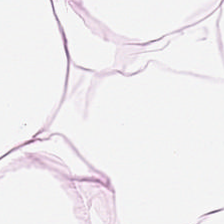H&E stain. Q: Identify the tissue.
A: Adipose tissue.
